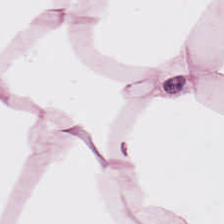FFPE tissue section · hematoxylin-and-eosin stained section · whole-slide-image patch — Tissue class — fat tissue.
